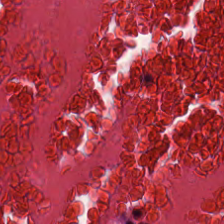H&E.
Q: Identify the tissue.
A: It is cellular debris.
